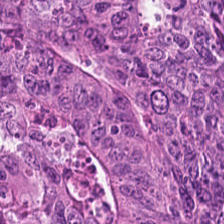WSI patch. 0.5 µm/px. Hematoxylin-and-eosin stained section.
Finding → adenocarcinoma.
